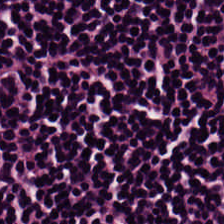Classification — lymphocytic infiltrate.
